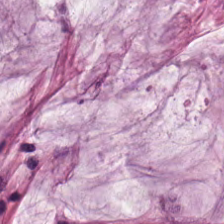Stain: hematoxylin and eosin.
Acquisition: whole-slide-image patch.
Classification: mucin.
